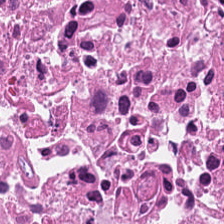Hematoxylin and eosin; FFPE tissue section.
Debris.
